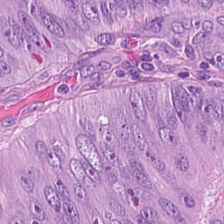Hematoxylin-and-eosin stained section. FFPE — This field is tumor epithelium.
